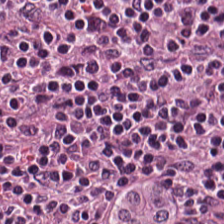This patch shows lymphocytes.
